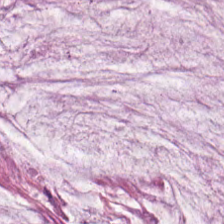H&E stain · 224×224 pixel tile · 0.5 µm/px. Predominant tissue: mucin.
